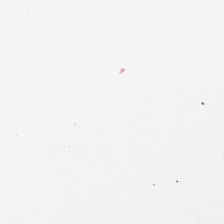Background.
